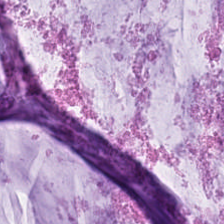Hematoxylin and eosin.
Impression — extracellular mucin.
